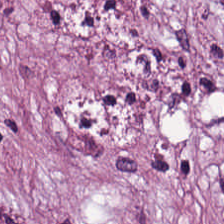0.5 µm/px. H&E stain — The tissue here is cancer-associated stroma.
